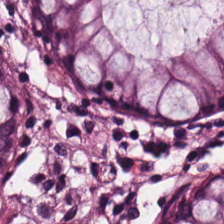Q: Identify the tissue.
A: It is normal colonic mucosa.
